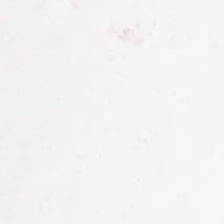Stain: H&E-stained tissue section.
Preparation: FFPE tissue section.
Acquisition: brightfield.
Field content: empty background.
